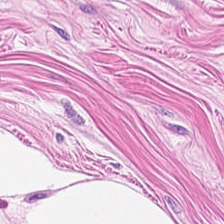Hematoxylin and eosin. Tissue type — muscularis.
